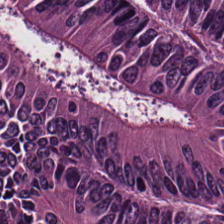H&E-stained tissue section — Tissue class = adenocarcinoma.
